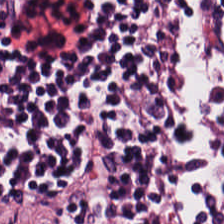0.5 microns per pixel. H&E.
Q: What does this patch show?
A: This is lymphocytic infiltrate.
